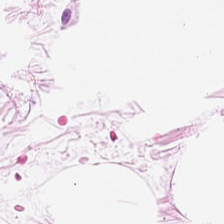H&E stain.
Classification = adipocytes.
